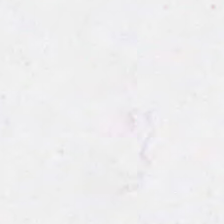Hematoxylin-and-eosin stained section; 0.5 microns per pixel.
Empty background.
